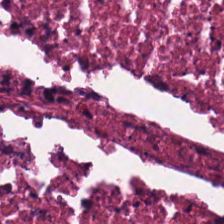H&E-stained tissue section — Classification = debris.
